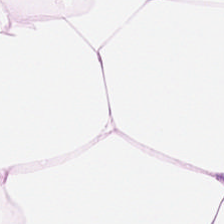Hematoxylin-and-eosin stained section. Tissue type — adipose tissue.
